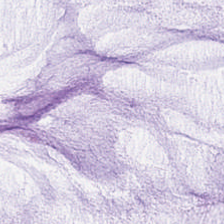Predominantly extracellular mucin.
